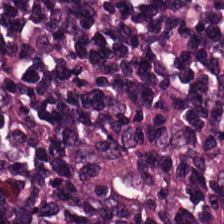H&E stain · brightfield.
Q: What is shown in this field?
A: It is lymphocyte aggregate.
